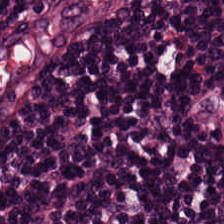Hematoxylin-and-eosin stained section. Lymphocyte aggregate.
